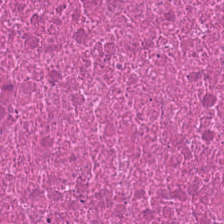H&E-stained tissue section.
Tissue class: cellular debris.
